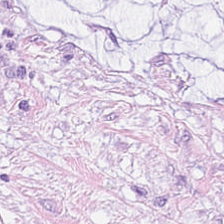This patch shows extracellular mucin.
